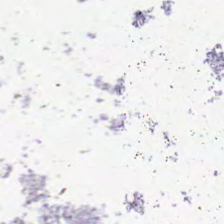Brightfield · 20× equivalent magnification · H&E stain.
Content — no tissue.
